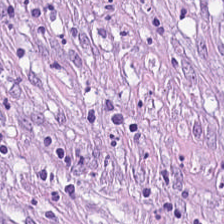H&E-stained section; the field shows tumor-associated stroma.
